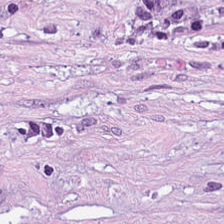Q: Classify this patch.
A: It is cancer-associated stroma.
